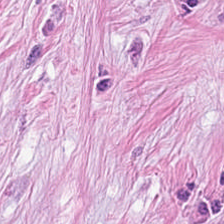Cancer-associated stroma.
